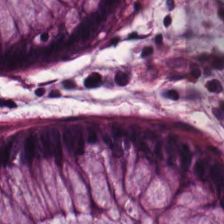The tissue here is normal colon mucosa.
